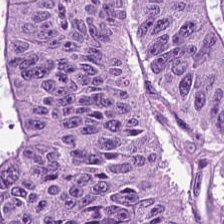H&E-stained tissue section. Whole-slide-image patch.
Q: What does this patch show?
A: The field shows tumor epithelium.
